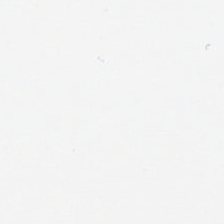Stain: H&E stain.
Acquisition: whole-slide-image patch.
Preparation: FFPE.
Content: no tissue.
